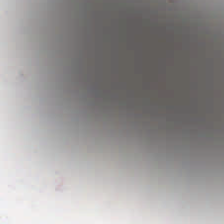H&E stain — Empty field — background (no tissue).
